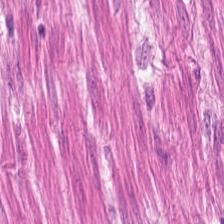0.5 microns per pixel. Hematoxylin and eosin. Brightfield.
This patch shows smooth-muscle tissue.
